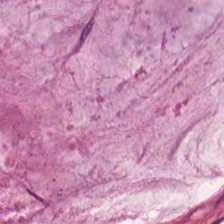H&E stain. Q: Identify the tissue.
A: The field shows mucin.
